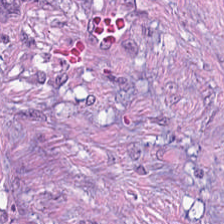Stain: H&E stain.
Resolution: 0.5 µm/px.
Preparation: formalin-fixed paraffin-embedded section.
Tissue: cancer-associated stroma.
